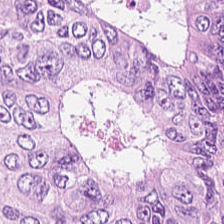Stain: H&E.
Classification: colorectal adenocarcinoma epithelium.
